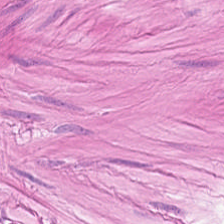H&E stain. Finding → muscularis.
